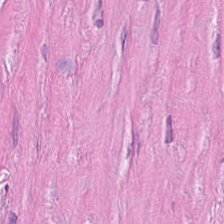H&E — The tissue type is tumor-associated stroma.
